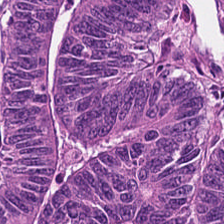Stain: H&E.
Predominant tissue: tumor epithelium.
